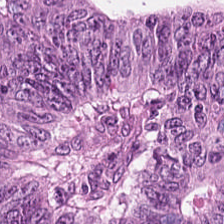Hematoxylin-and-eosin stained section. Brightfield. 224×224 px patch — The predominant tissue is colorectal adenocarcinoma epithelium.
